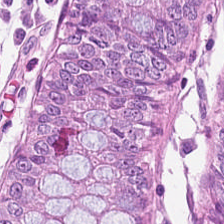H&E stain. {"tissue_type": "normal colon mucosa"}
